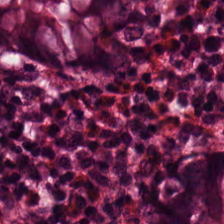0.5 microns per pixel. Hematoxylin and eosin.
This patch shows benign colonic mucosa.
